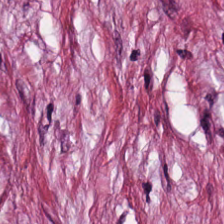0.5 µm/px; H&E-stained tissue section — Tissue type = tumor stroma.
